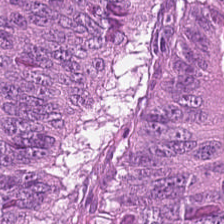H&E-stained tissue section.
Tissue: colorectal adenocarcinoma epithelium.
